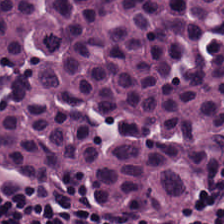H&E-stained tissue section.
Tissue class: lymphoid infiltrate.
